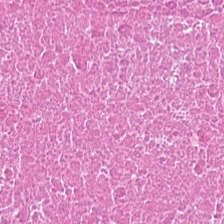H&E-stained tissue section · 224×224 px tile.
Predominant tissue = cellular debris.
